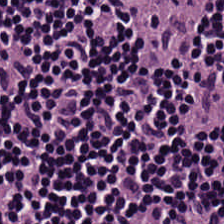H&E. FFPE. 0.5 µm per pixel. Q: Identify the tissue.
A: This is lymphocyte aggregate.
